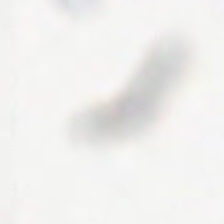The content is empty background.
